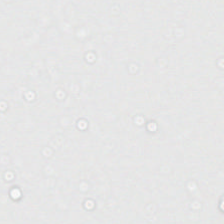224×224 px tile · formalin-fixed paraffin-embedded section · H&E.
Background — no tissue in this field.
